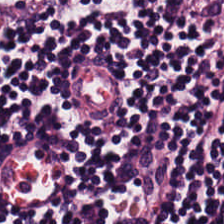H&E. Showing lymphocyte aggregate.
